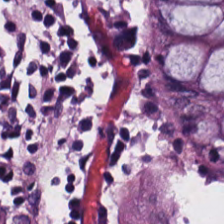H&E stain. This patch shows normal colonic mucosa.
